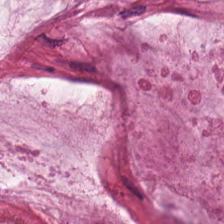Brightfield. 0.5 µm per pixel. H&E stain — Q: What is shown in this field?
A: It is mucus.
